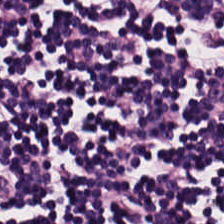H&E — Q: What tissue type is shown here?
A: Lymphoid infiltrate.
